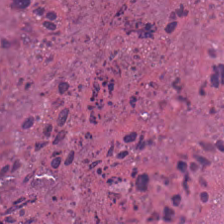Hematoxylin and eosin.
Predominantly cellular debris.
